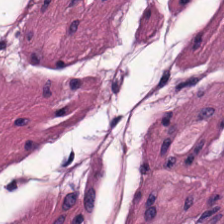H&E-stained tissue section — The tissue class is smooth-muscle tissue.
